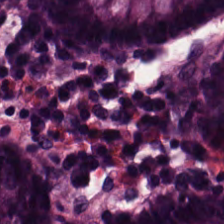Tissue = normal colon mucosa.
